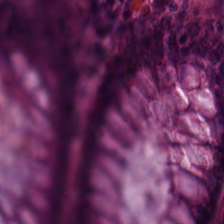Hematoxylin and eosin · whole-slide-image patch — {"tissue_type": "benign colonic mucosa"}
